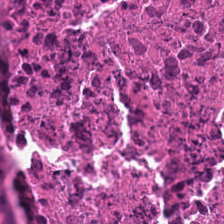Impression → cellular debris.
